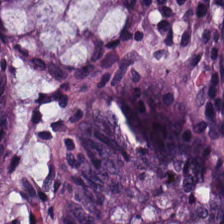0.5 microns per pixel. H&E.
This patch shows benign colonic mucosa.
